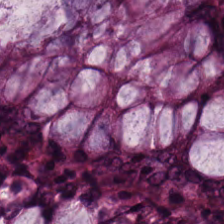{"tissue_type": "non-neoplastic colon mucosa"}
